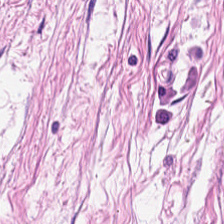Stain: hematoxylin and eosin.
Predominant tissue: tumor-associated stroma.
